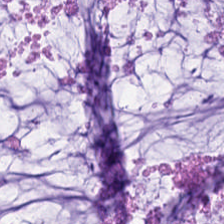Classification — mucus.
